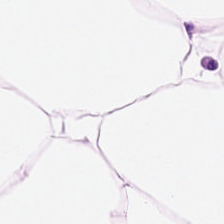H&E stain — Predominantly adipose tissue.
